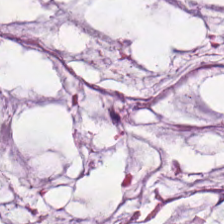The tissue here is mucin.
